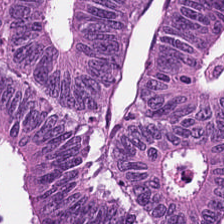H&E-stained tissue section · 224×224 px tile. Impression — malignant epithelium.
